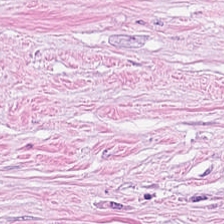H&E stain. 0.5 microns per pixel. 224×224 px tile. Q: What is shown here?
A: The field shows tumor stroma.
